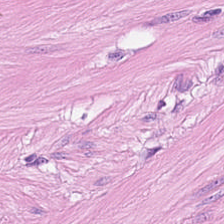Hematoxylin-and-eosin stained section; WSI patch — Q: Classify this patch.
A: It is smooth muscle.
